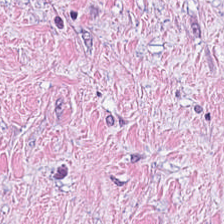H&E-stained tissue section.
Q: What tissue is shown?
A: It is cancer-associated stroma.
